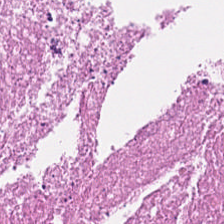Hematoxylin and eosin.
The predominant tissue is necrotic debris.
